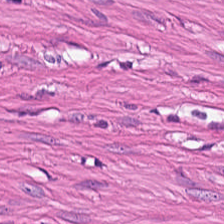H&E stain · 0.5 µm per pixel. Impression → smooth muscle.
